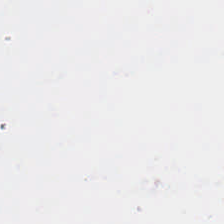Classification: background (no tissue).
